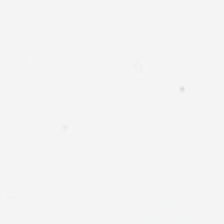Hematoxylin and eosin. No tissue.
